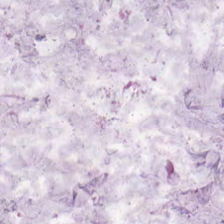H&E-stained tissue section. FFPE. 0.5 µm per pixel.
Predominant tissue: extracellular mucin.
